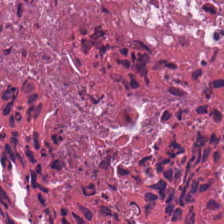H&E stain — Q: What is shown here?
A: Debris.
